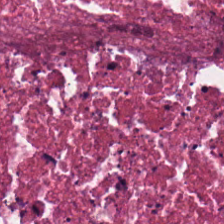H&E-stained tissue section. Q: What is the predominant tissue type?
A: This is cellular debris.
